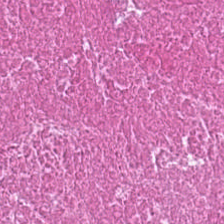H&E.
Impression → debris.
